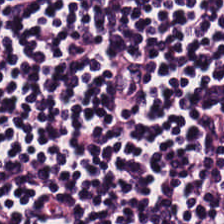Stain: H&E stain.
Classification: lymphocyte aggregate.
